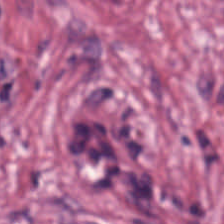H&E-stained tissue section — This field is cancer-associated stroma.
